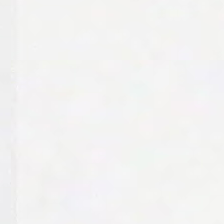20× equivalent magnification · hematoxylin-and-eosin stained section. This field is background (no tissue).
